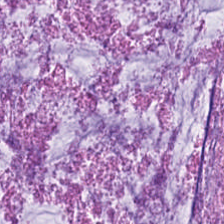Stain: H&E-stained tissue section.
Preparation: FFPE.
Tissue: mucin.
